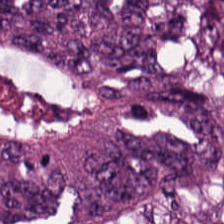H&E-stained tissue section. {"tissue_type": "tumor epithelium"}
